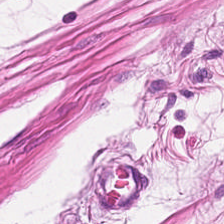Stain: H&E stain.
Resolution: 0.5 µm per pixel.
Tissue: smooth muscle.
